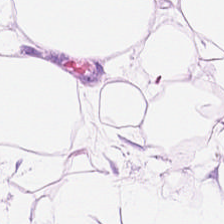This field is adipocytes.
